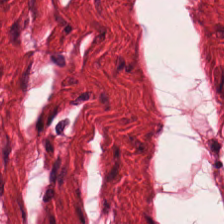224×224 px patch. H&E.
This patch shows smooth muscle.
